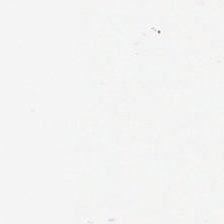Brightfield microscopy. Hematoxylin and eosin — Q: What is shown here?
A: It is no tissue.
